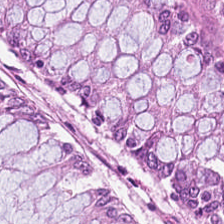H&E stain — Tissue = normal colon mucosa.
